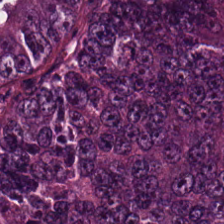0.5 µm/px. Hematoxylin-and-eosin stained section — Q: What tissue is shown?
A: Malignant epithelium.
